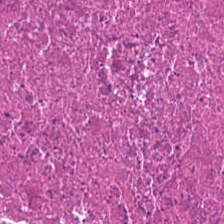Stain: hematoxylin and eosin.
Tissue class: cellular debris.
